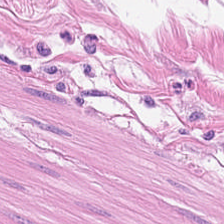Stain: H&E stain.
Tissue: smooth muscle.
